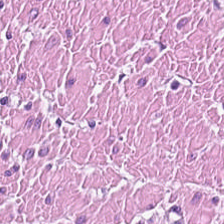H&E. The classification is smooth-muscle tissue.
